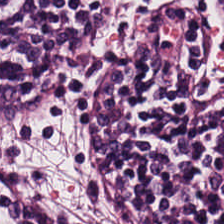H&E. This field is lymphocyte aggregate.
